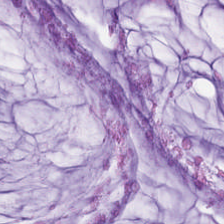The predominant tissue is extracellular mucin.
